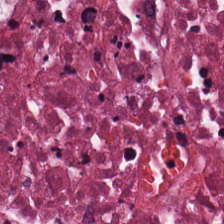Stain: hematoxylin and eosin.
Tile size: 224×224 px tile.
Resolution: 0.5 µm/px.
Predominant tissue: debris.
